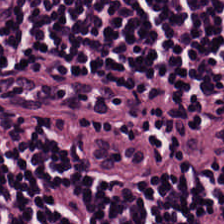0.5 µm/px; H&E stain. The tissue here is lymphocytic infiltrate.
